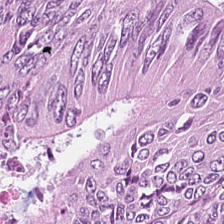Hematoxylin and eosin. 0.5 microns per pixel.
Predominantly tumor epithelium.
